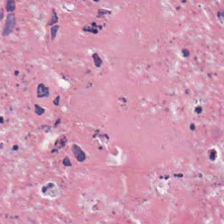Stain: hematoxylin-and-eosin stained section.
Tissue type: necrotic debris.
